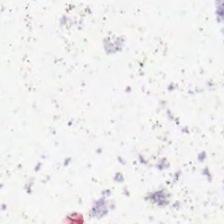20× equivalent magnification · H&E stain.
{"content": "no tissue"}
